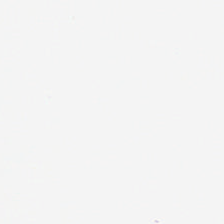H&E stain. Finding — background (no tissue).
